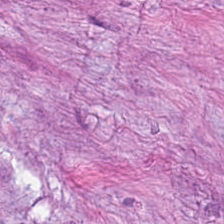Hematoxylin-and-eosin stained section.
Q: What is the predominant tissue type?
A: This is cancer-associated stroma.
